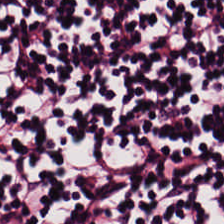This field is lymphocytes.
